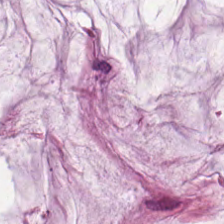H&E-stained tissue section · FFPE tissue section. Tissue class — mucin.
